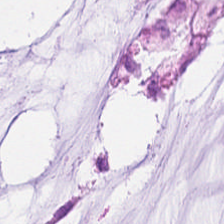0.5 µm per pixel. Hematoxylin and eosin.
Tissue class — mucin.
